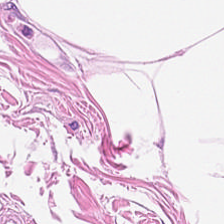H&E.
Histology → adipose tissue.
